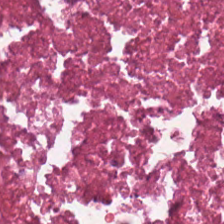H&E — Q: What is the predominant tissue type?
A: This is cellular debris.
